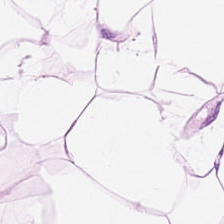Q: What is the predominant tissue type?
A: This is adipocytes.
